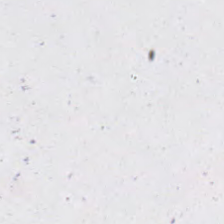The content is empty background.
